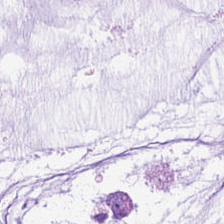Stain: hematoxylin-and-eosin stained section.
Acquisition: brightfield microscopy.
Preparation: formalin-fixed paraffin-embedded section.
Classification: mucus.
